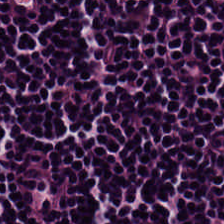H&E stain. WSI patch — Classification — lymphocyte aggregate.
